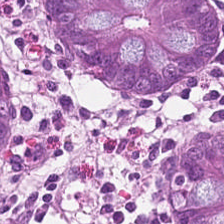H&E stain. This field is normal colon mucosa.
